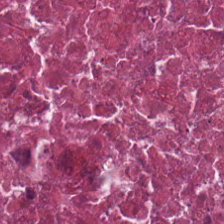224×224 px patch · H&E. Showing debris.
